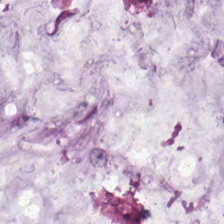224×224 px tile · hematoxylin and eosin.
Mucin.
